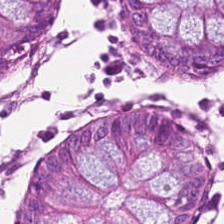0.5 µm per pixel. Hematoxylin-and-eosin stained section — Tissue — non-neoplastic colon mucosa.
